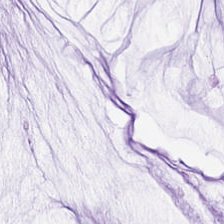Hematoxylin-and-eosin stained section — This patch shows mucin.
